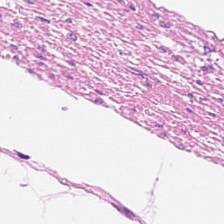{"tissue_type": "smooth muscle"}
